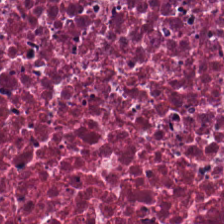Stain: H&E.
Tissue: necrotic debris.
